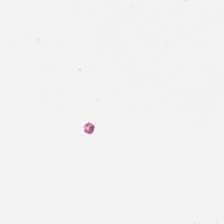Stain: hematoxylin-and-eosin stained section.
Field content: no tissue.
